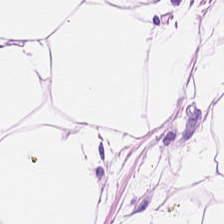224×224 px patch. Hematoxylin and eosin — Impression — adipose tissue.
